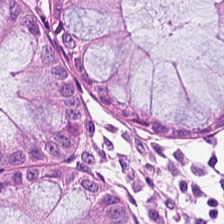FFPE · H&E-stained tissue section · WSI patch — Q: What is the predominant tissue type?
A: The field shows normal colonic mucosa.
